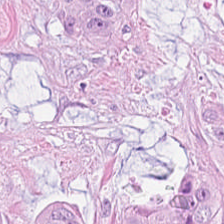Classification: adenocarcinoma.
